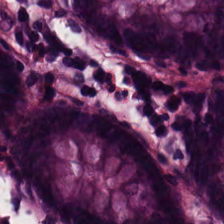H&E-stained tissue section. Tissue type: benign colonic mucosa.
